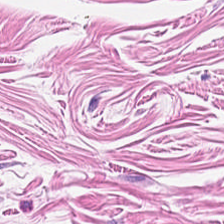FFPE · H&E · whole-slide-image patch.
Classification — muscularis.
